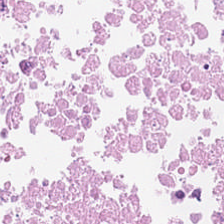Stain: hematoxylin and eosin.
Preparation: FFPE.
Acquisition: brightfield microscopy.
Classification: cellular debris.
